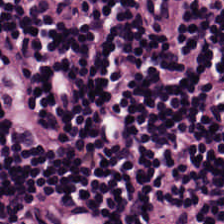The predominant tissue is lymphocytes.
